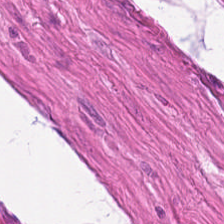0.5 µm per pixel; H&E stain; 224×224 px patch.
This field is smooth muscle.
